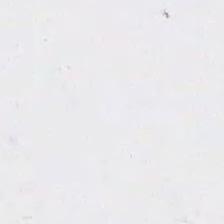H&E; 0.5 µm per pixel — This patch shows empty background.
